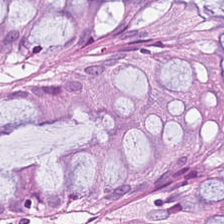The tissue type is non-neoplastic colon mucosa.
